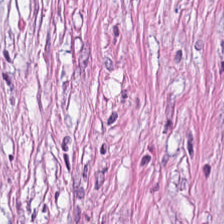Hematoxylin and eosin · FFPE.
Histology → tumor stroma.
